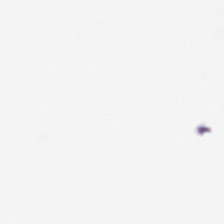Empty background.
